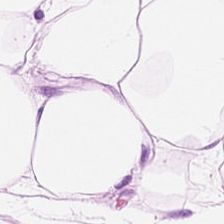H&E stain; whole-slide-image patch. Showing adipocytes.
